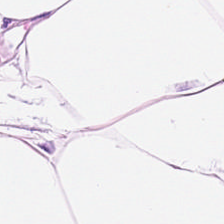H&E.
Predominant tissue = fat tissue.
